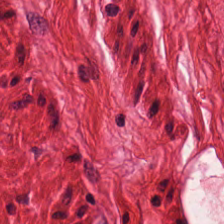Hematoxylin-and-eosin stained section.
Smooth-muscle tissue.
